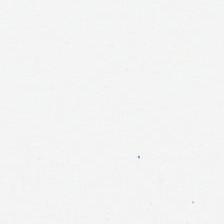H&E stain · brightfield microscopy · 0.5 µm/px — {"content": "no tissue"}
